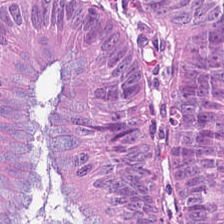Finding — colorectal adenocarcinoma epithelium.
